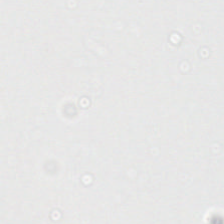H&E-stained tissue section. Q: Classify this patch.
A: It is background.
